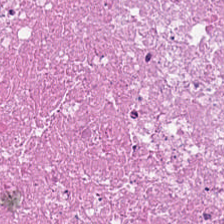Hematoxylin-and-eosin stained section · FFPE tissue section. Predominantly debris.
